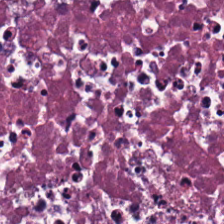H&E. Q: What is shown in this field?
A: This is necrotic debris.
